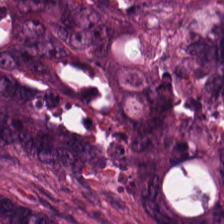224×224 pixel tile; 0.5 µm per pixel; H&E-stained tissue section — Tissue class: colorectal adenocarcinoma.
